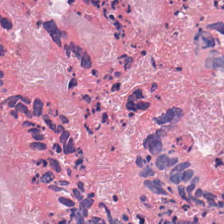H&E; FFPE — Q: What is the predominant tissue type?
A: It is necrotic debris.
